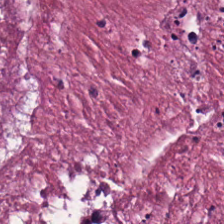H&E. Tissue — cellular debris.
